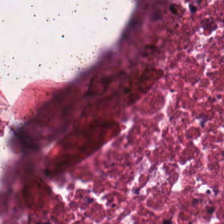H&E-stained tissue section — Finding — necrotic debris.
